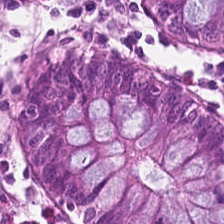Predominant tissue — normal colon mucosa.
